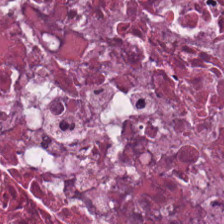H&E-stained tissue section.
Predominantly necrotic debris.
